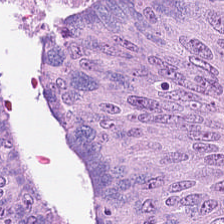224×224 px tile. H&E-stained tissue section.
Q: Identify the tissue.
A: It is colorectal adenocarcinoma.
